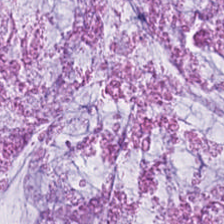Predominant tissue: mucin.
